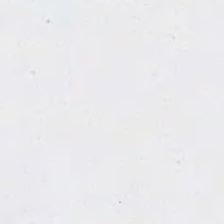Stain: hematoxylin-and-eosin stained section.
Content: background.
